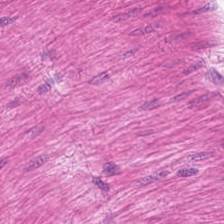0.5 microns per pixel · 224×224 px patch · hematoxylin and eosin.
Showing smooth-muscle tissue.
